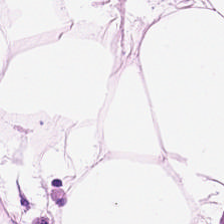Q: What is shown in this field?
A: It is adipose tissue.
